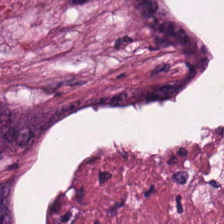Hematoxylin-and-eosin stained section — Q: What tissue type is shown here?
A: The field shows necrotic debris.
